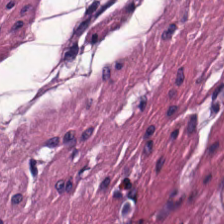H&E · whole-slide-image patch · 224×224 px tile.
Showing smooth-muscle tissue.
